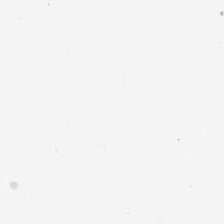Finding — background.
